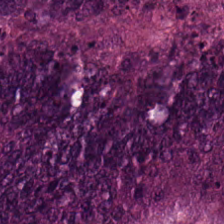Stain: hematoxylin and eosin.
Tissue type: colorectal adenocarcinoma epithelium.
